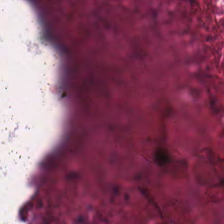FFPE tissue section. H&E-stained tissue section. The tissue class is cellular debris.
